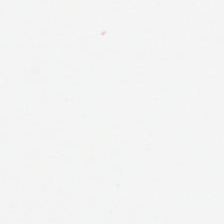Hematoxylin-and-eosin stained section. WSI patch. Q: What is shown in this field?
A: This is no tissue.
